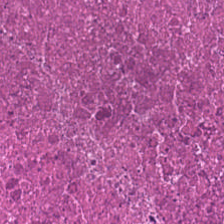Stain: H&E-stained tissue section.
Tissue class: cellular debris.
